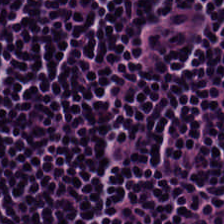Formalin-fixed paraffin-embedded section · H&E-stained tissue section — Finding → lymphoid infiltrate.
